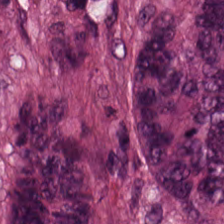H&E stain.
Q: What does this patch show?
A: It is colorectal adenocarcinoma.
